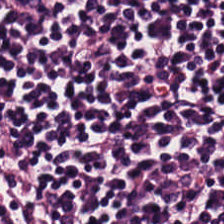Brightfield microscopy. Hematoxylin-and-eosin stained section. Formalin-fixed paraffin-embedded section. Histology → lymphocytic infiltrate.
